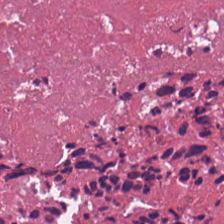Hematoxylin-and-eosin stained section.
The predominant tissue is cellular debris.
